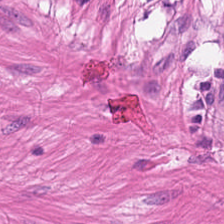224×224 pixel tile. H&E stain. Whole-slide-image patch.
Tissue — smooth-muscle tissue.
